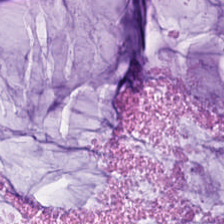H&E stain; FFPE tissue section. Histology — mucus.
